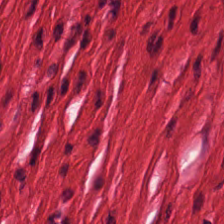H&E-stained tissue section — Classification — smooth-muscle tissue.
